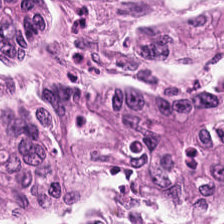H&E stain · WSI patch. The predominant tissue is colorectal adenocarcinoma epithelium.
